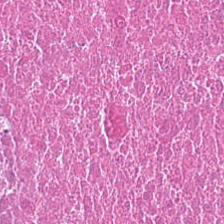Stain: hematoxylin-and-eosin stained section.
Tissue: necrotic debris.
